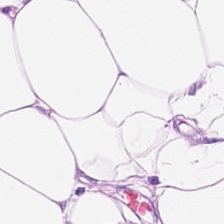H&E-stained tissue section. Impression — adipose tissue.
